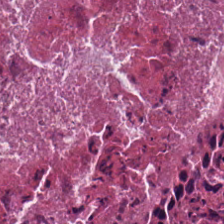H&E-stained tissue section — Showing necrotic debris.
